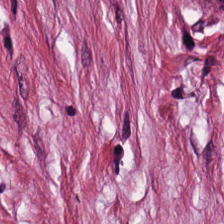Brightfield microscopy · H&E-stained tissue section — The predominant tissue is desmoplastic stroma.
